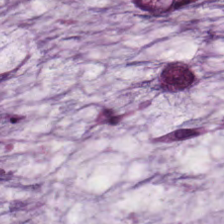Formalin-fixed paraffin-embedded section. Hematoxylin-and-eosin stained section. The tissue here is extracellular mucin.
